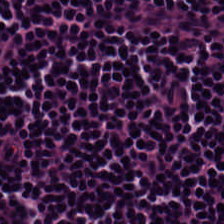Stain: hematoxylin and eosin.
Tile size: 224×224 px tile.
Tissue class: lymphoid infiltrate.
